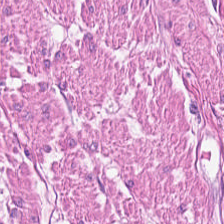Hematoxylin-and-eosin stained section.
The tissue here is smooth muscle.
